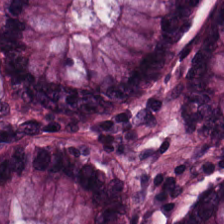H&E stain; 224×224 px tile — The tissue class is benign colonic mucosa.
